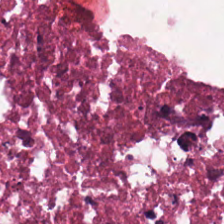Hematoxylin and eosin. The tissue here is cellular debris.
